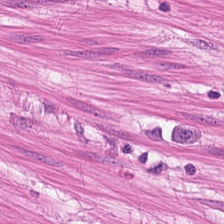Q: Identify the tissue.
A: This is muscularis.
